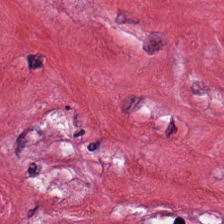Q: What tissue type is shown here?
A: This is tumor-associated stroma.
